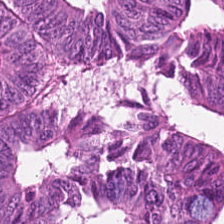H&E-stained tissue section · 0.5 µm/px. Q: What type of tissue is this?
A: The field shows tumor epithelium.
